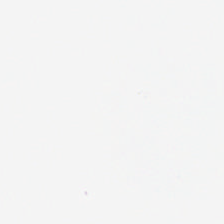The classification is background.
